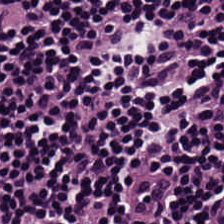Hematoxylin-and-eosin stained section. Q: What does this patch show?
A: The field shows lymphoid infiltrate.
